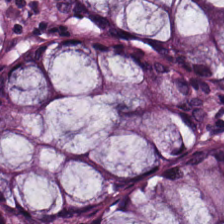0.5 µm per pixel. Hematoxylin and eosin. 224×224 px patch. {"tissue_type": "non-neoplastic colon mucosa"}
